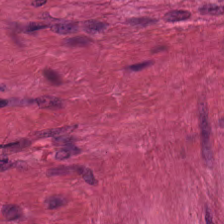Hematoxylin-and-eosin stained section — The tissue here is muscularis.
